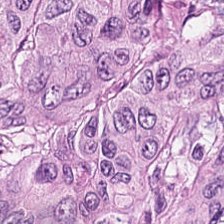0.5 microns per pixel. H&E stain — Predominant tissue: adenocarcinoma.
